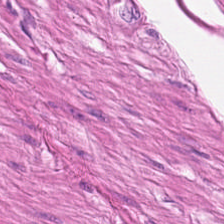Hematoxylin and eosin. Q: What is shown in this field?
A: This is smooth-muscle tissue.
